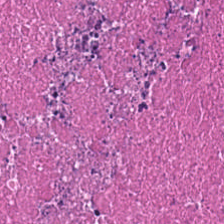H&E-stained tissue section.
Debris.
